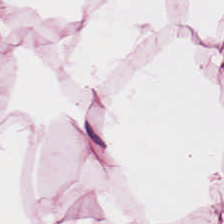H&E. 0.5 µm/px.
Tissue class: fat tissue.
